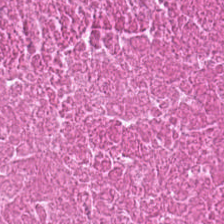Hematoxylin-and-eosin section: necrotic debris.
